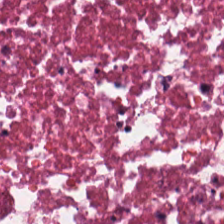Q: Classify this patch.
A: It is cellular debris.
